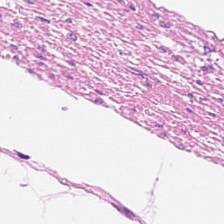WSI patch; H&E-stained tissue section. Showing muscularis.
